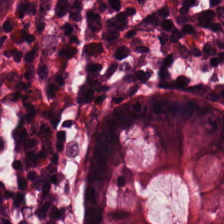Tissue type: benign colonic mucosa.
